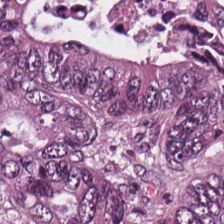H&E-stained tissue section; 224×224 pixel tile.
The predominant tissue is adenocarcinoma.
